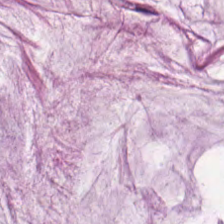H&E stain — This field is mucin.
